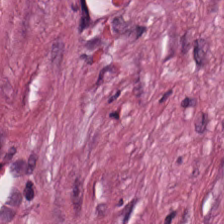H&E stain. WSI patch.
The predominant tissue is cancer-associated stroma.
